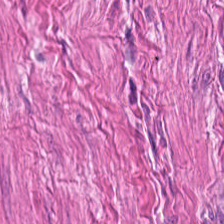Brightfield microscopy. FFPE. H&E — {"tissue_type": "smooth-muscle tissue"}
